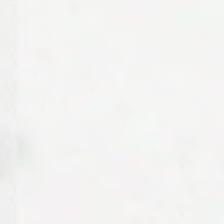224×224 px tile; H&E-stained tissue section — Q: What is shown here?
A: The field shows background.
